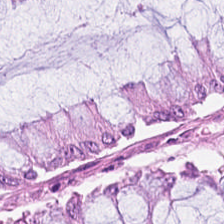H&E; brightfield microscopy — Classification: normal colonic mucosa.
